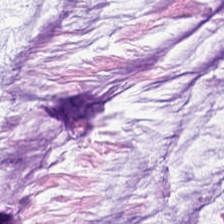Classification — mucus.
